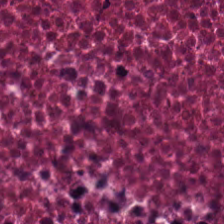Hematoxylin and eosin. {"tissue_type": "debris"}
